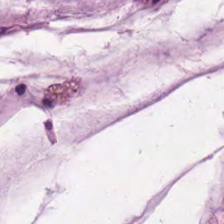Hematoxylin-and-eosin stained section — Extracellular mucin.
